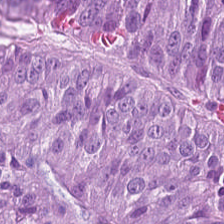Stain: H&E stain.
Tissue: tumor epithelium.
